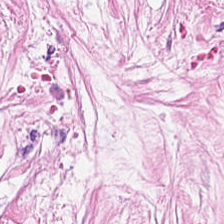H&E stain — Predominantly tumor-associated stroma.
